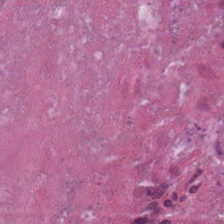WSI patch; hematoxylin and eosin — Showing necrotic debris.
